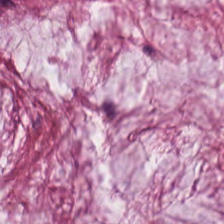Tissue class — extracellular mucin.
